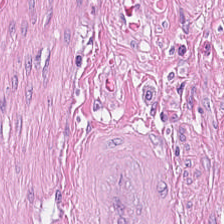FFPE. Hematoxylin-and-eosin stained section.
This field is tumor-associated stroma.
